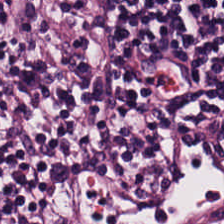Predominant tissue: lymphocytes.
